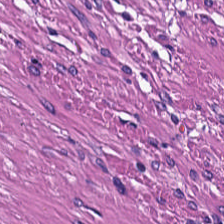H&E-stained tissue section · formalin-fixed paraffin-embedded section · whole-slide-image patch. The predominant tissue is muscularis.
